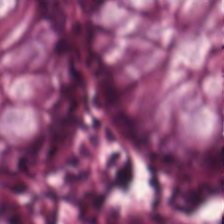The tissue here is normal colonic mucosa.
